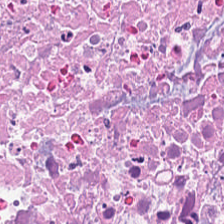Brightfield · H&E stain.
Tissue type: necrotic debris.
